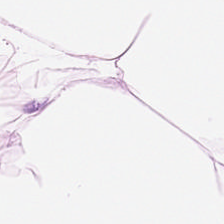0.5 µm/px. H&E stain.
Q: What is shown here?
A: The field shows adipocytes.
